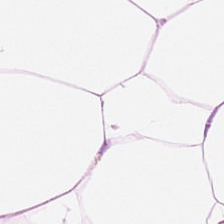224×224 px tile. 20× equivalent magnification. H&E.
The classification is adipocytes.
